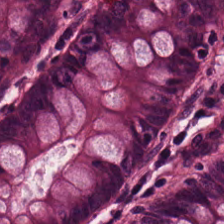H&E — Tissue — normal colon mucosa.
